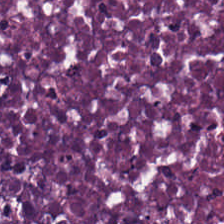Stain: hematoxylin and eosin.
Classification: debris.
